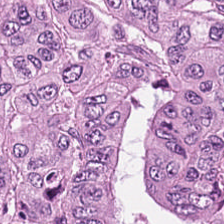Brightfield; hematoxylin and eosin. Finding — malignant epithelium.
